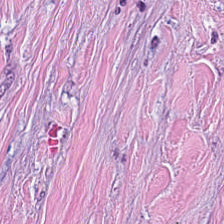Stain: H&E.
Predominant tissue: desmoplastic stroma.
